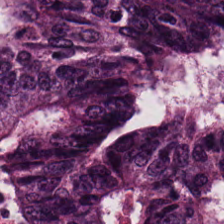H&E. {"tissue_type": "adenocarcinoma"}
